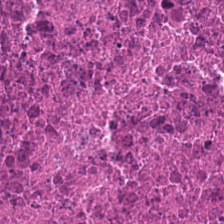FFPE tissue section · H&E stain. Q: What type of tissue is this?
A: Necrotic debris.
